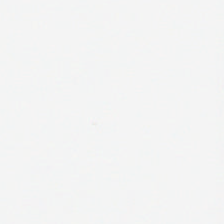H&E-stained tissue section. FFPE — No tissue present; background only.
